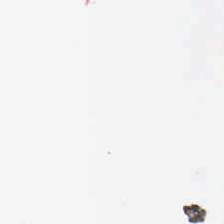224×224 px tile; brightfield; hematoxylin-and-eosin stained section. The content is background (no tissue).
